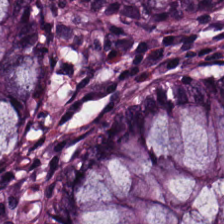WSI patch; hematoxylin-and-eosin stained section; formalin-fixed paraffin-embedded section.
The predominant tissue is normal colonic mucosa.
